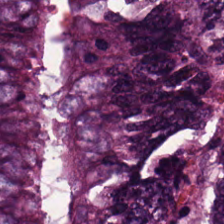H&E stain; FFPE; WSI patch — Q: What type of tissue is this?
A: This is colorectal adenocarcinoma.
